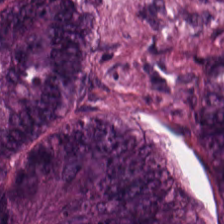Hematoxylin-and-eosin stained section · 224×224 px tile · WSI patch — Tissue = adenocarcinoma.
